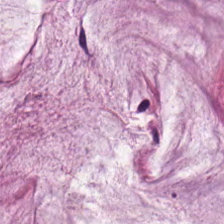H&E-stained tissue section.
Predominant tissue = extracellular mucin.
